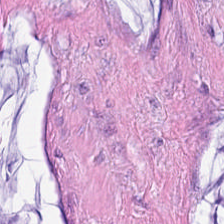H&E stain. 224×224 px tile. Tissue class: mucin.
